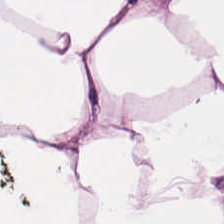H&E-stained tissue section. Predominantly adipose tissue.
